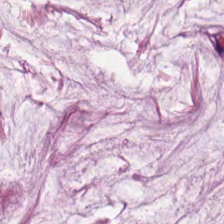Hematoxylin-and-eosin stained section — Predominantly mucin.
